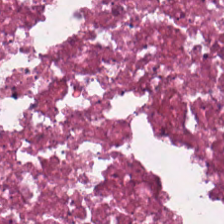Hematoxylin and eosin.
Finding — necrotic debris.
